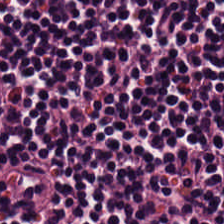Whole-slide-image patch; hematoxylin and eosin. Predominantly lymphocytic infiltrate.
